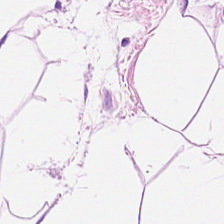0.5 µm per pixel; H&E — Classification = adipocytes.
